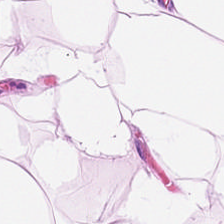Hematoxylin-and-eosin section: adipose tissue.
